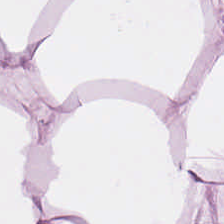H&E-stained tissue section. WSI patch. {"tissue_type": "adipocytes"}
